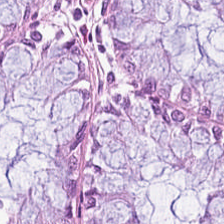FFPE tissue section · 0.5 µm per pixel · hematoxylin and eosin.
Normal colon mucosa.
